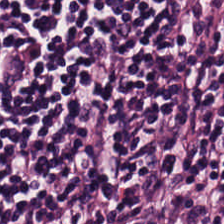Hematoxylin-and-eosin stained section. Predominant tissue = lymphocyte aggregate.
